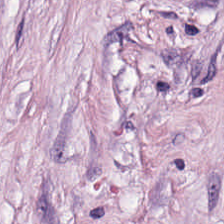0.5 µm/px; 224×224 px patch; H&E — The predominant tissue is desmoplastic stroma.
